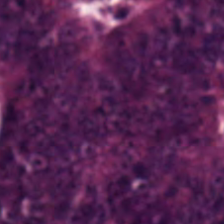FFPE · WSI patch · hematoxylin and eosin.
Q: What is the predominant tissue type?
A: This is colorectal adenocarcinoma.
